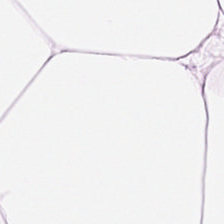Stain: H&E.
Tissue: adipocytes.
